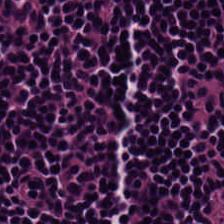H&E. Predominant tissue = lymphocytes.
